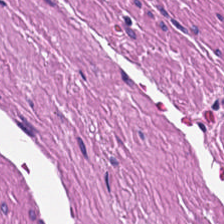Hematoxylin-and-eosin stained section.
Q: Identify the tissue.
A: This is smooth muscle.
